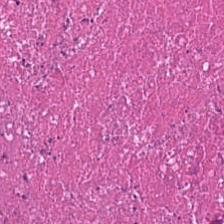224×224 px tile; hematoxylin and eosin. Q: What is shown here?
A: It is cellular debris.
